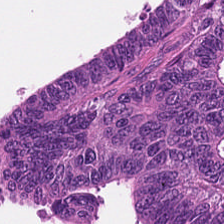H&E-stained tissue section · FFPE — Tissue class — colorectal adenocarcinoma.
